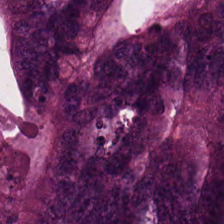224×224 pixel tile · H&E — Colorectal adenocarcinoma epithelium.
